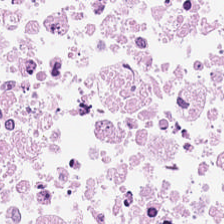H&E-stained tissue section; 224×224 px patch — Impression → cellular debris.
